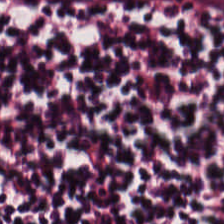Hematoxylin-and-eosin stained section; whole-slide-image patch. Showing lymphocytic infiltrate.
